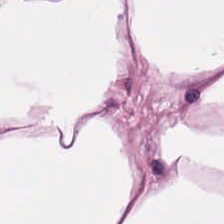Q: What type of tissue is this?
A: The field shows adipose tissue.
